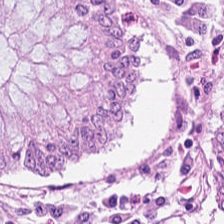H&E.
Finding → normal colon mucosa.
